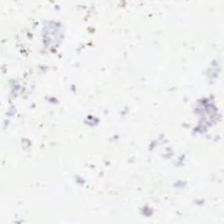The content is background (no tissue).
